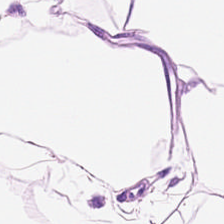Hematoxylin and eosin — Predominant tissue = adipocytes.
